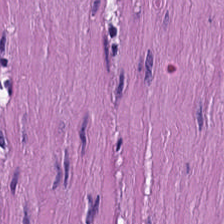Hematoxylin and eosin. This patch shows smooth-muscle tissue.
